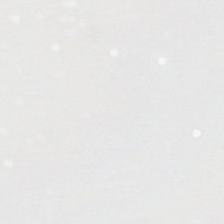224×224 pixel tile · hematoxylin and eosin · brightfield — Field content — no tissue.
